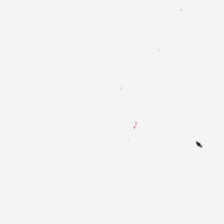Stain: hematoxylin-and-eosin stained section.
Content: no tissue.
